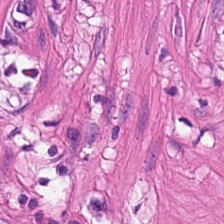H&E stain. 224×224 px patch.
Q: Classify this patch.
A: Smooth-muscle tissue.
